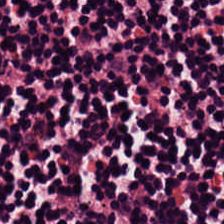224×224 pixel tile · hematoxylin-and-eosin stained section · 0.5 µm/px. This field is lymphocyte aggregate.
